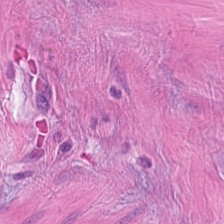Whole-slide-image patch · hematoxylin and eosin · 224×224 px tile.
The tissue is smooth muscle.
